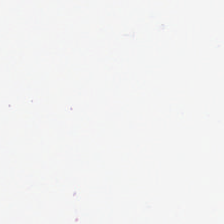H&E stain.
Background (no tissue).
